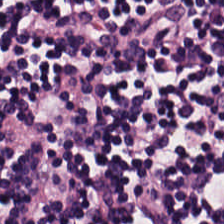Hematoxylin-and-eosin section: lymphocytes.
